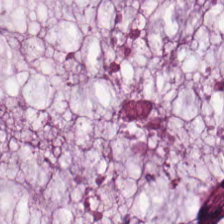Hematoxylin-and-eosin stained section; 224×224 px tile; FFPE tissue section — The tissue here is mucin.
